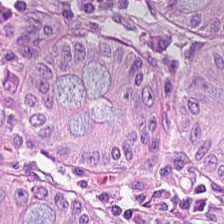H&E stain.
Tissue class = normal colon mucosa.
